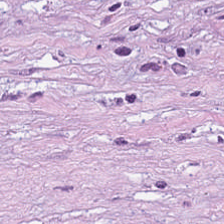Hematoxylin-and-eosin stained section. This patch shows tumor stroma.
